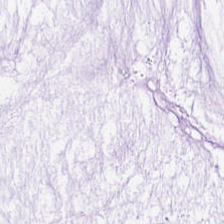H&E-stained tissue section — Tissue class: extracellular mucin.
